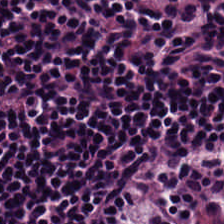Classification: lymphoid infiltrate.
